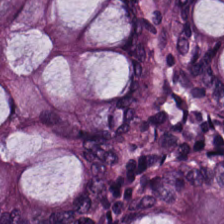H&E stain.
The tissue class is normal colon mucosa.
